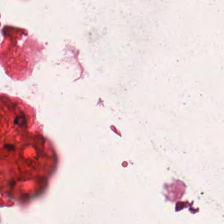H&E stain; FFPE tissue section. Tissue type — smooth muscle.
